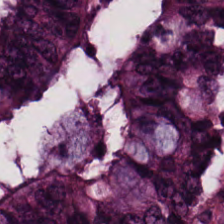H&E stain; FFPE tissue section; brightfield.
Malignant epithelium.
